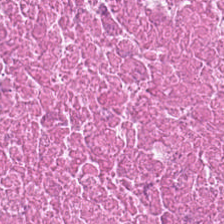H&E stain.
Impression — debris.
